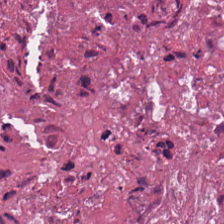H&E · whole-slide-image patch · 224×224 px tile — This field is cellular debris.
